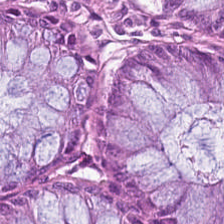H&E-stained tissue section. FFPE tissue section.
The predominant tissue is non-neoplastic colon mucosa.
